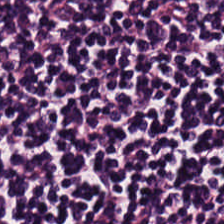20× equivalent magnification. H&E-stained tissue section. This field is lymphocytic infiltrate.
